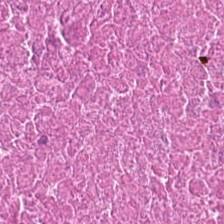Tissue type = necrotic debris.
